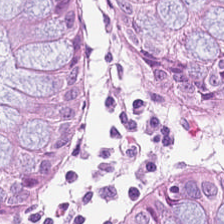0.5 µm/px; H&E stain — Showing normal colonic mucosa.
